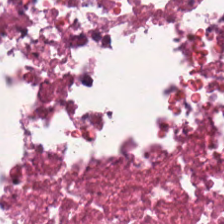WSI patch; 20× equivalent magnification; H&E stain. This field is cellular debris.
